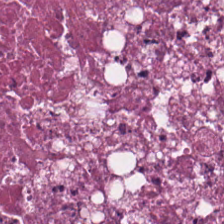224×224 px patch. H&E-stained tissue section.
Predominantly necrotic debris.
